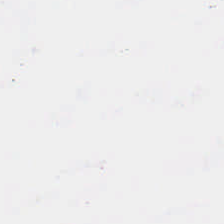Hematoxylin-and-eosin stained section · WSI patch — Q: What is shown here?
A: Background (no tissue).
